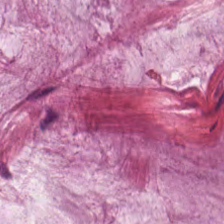Brightfield microscopy; hematoxylin and eosin; 224×224 px tile.
Showing mucin.
